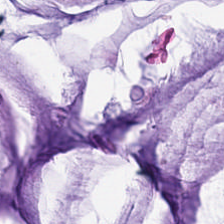Hematoxylin-and-eosin stained section · FFPE tissue section — The tissue type is mucus.
